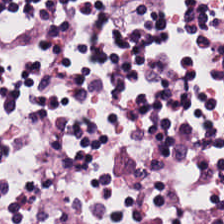Finding → lymphocytic infiltrate.
